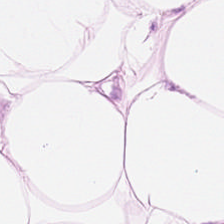H&E patch showing adipocytes.
